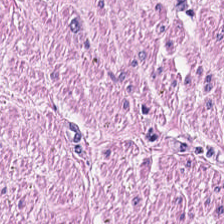Hematoxylin-and-eosin stained section — Classification = smooth muscle.
